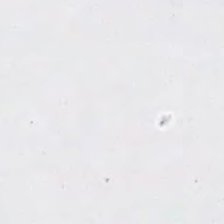H&E-stained tissue section; 20× equivalent magnification — Q: Classify this patch.
A: Background.
